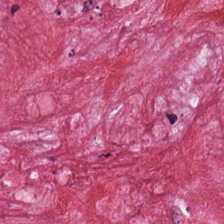Formalin-fixed paraffin-embedded section · H&E stain — The predominant tissue is tumor-associated stroma.
